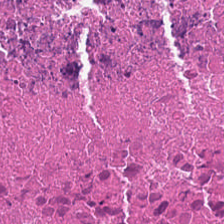Hematoxylin-and-eosin stained section. 224×224 px patch.
Q: What is the predominant tissue type?
A: This is cellular debris.
